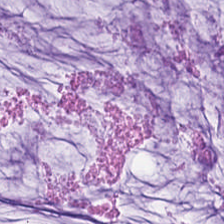Hematoxylin and eosin.
Predominantly extracellular mucin.
